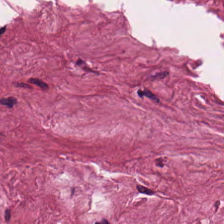Brightfield microscopy · FFPE · H&E-stained tissue section. Tissue — cancer-associated stroma.
